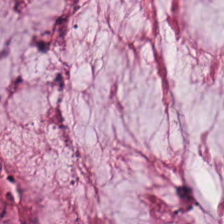Hematoxylin and eosin; 20× equivalent magnification — This patch shows mucus.
